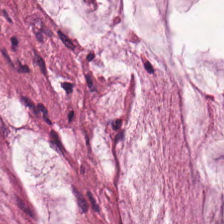Hematoxylin-and-eosin section: mucus.
